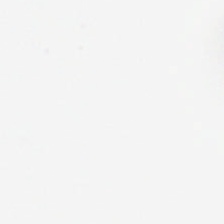Stain: H&E.
Classification: no tissue.
